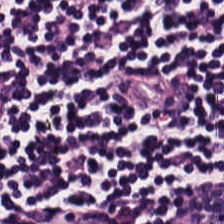H&E-stained section; the field shows lymphoid infiltrate.
